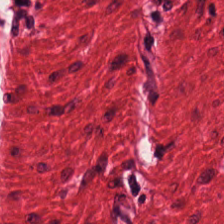FFPE; H&E.
Q: What tissue type is shown here?
A: Smooth muscle.
